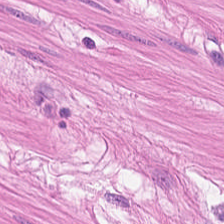224×224 pixel tile; H&E-stained tissue section — Tissue type: smooth-muscle tissue.
